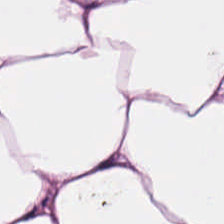H&E.
The tissue type is fat tissue.
